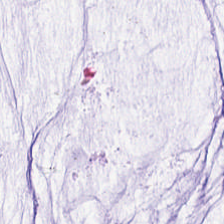20× equivalent magnification; hematoxylin and eosin.
Predominantly mucin.
